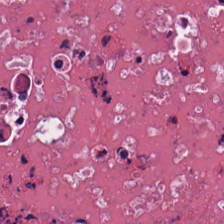224×224 pixel tile; hematoxylin and eosin. This patch shows debris.
